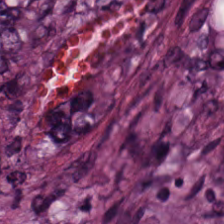Brightfield microscopy · H&E stain · 224×224 px patch.
The predominant tissue is malignant epithelium.
